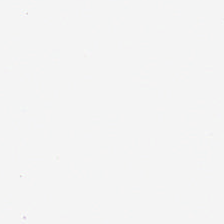Brightfield microscopy. Hematoxylin and eosin. 224×224 px tile.
Finding — background.
